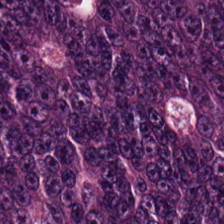Stain: H&E.
Predominant tissue: tumor epithelium.
